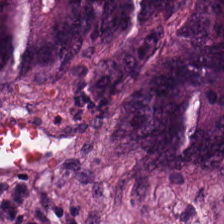Hematoxylin and eosin.
Q: What is shown here?
A: This is adenocarcinoma.
